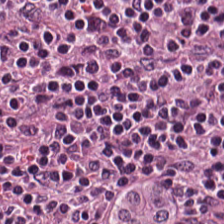Hematoxylin and eosin — The tissue here is lymphocyte aggregate.
